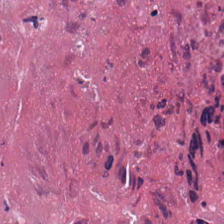Showing necrotic debris.
